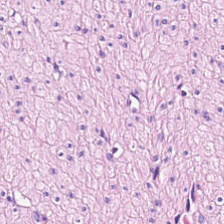0.5 µm/px; hematoxylin-and-eosin stained section.
Predominantly smooth-muscle tissue.
